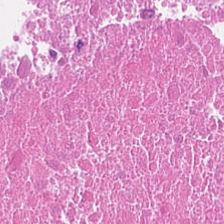This field is debris.
